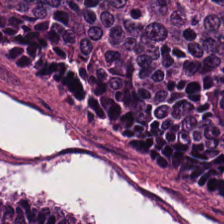H&E stain. Q: What tissue type is shown here?
A: The field shows adenocarcinoma.
